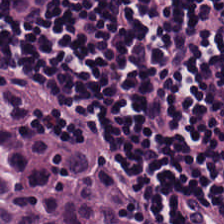H&E stain. Tissue class: lymphocytes.
